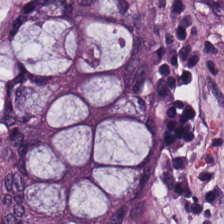{"tissue_type": "normal colon mucosa"}
